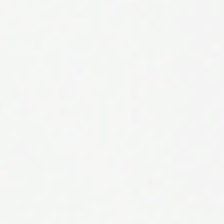224×224 px patch. Hematoxylin-and-eosin stained section. Q: What is shown in this field?
A: The field shows empty background.
